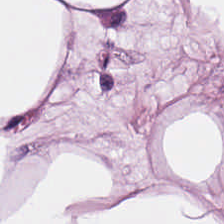Stain: H&E.
Classification: fat tissue.
